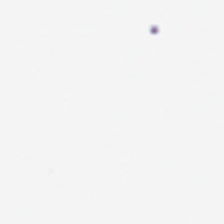H&E — The field content is background.
